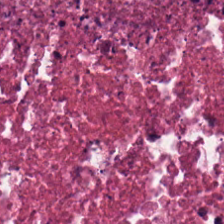H&E-stained tissue section showing cellular debris.
